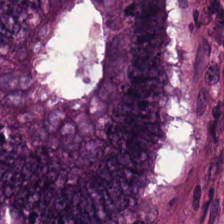H&E-stained tissue section. 224×224 pixel tile. The tissue type is colorectal adenocarcinoma.
